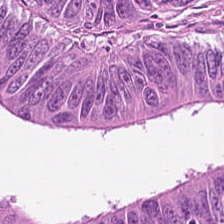H&E-stained tissue section. This patch shows colorectal adenocarcinoma.
